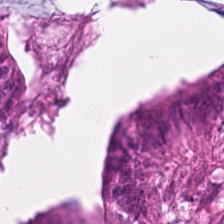Hematoxylin-and-eosin stained section.
Q: What is shown here?
A: It is colorectal adenocarcinoma epithelium.
